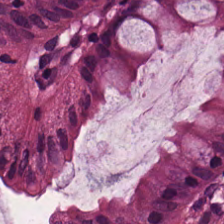Hematoxylin-and-eosin section: benign colonic mucosa.
